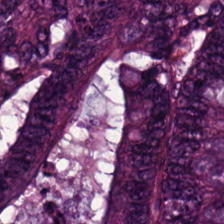H&E. Malignant epithelium.
